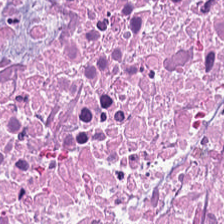Predominantly debris.
